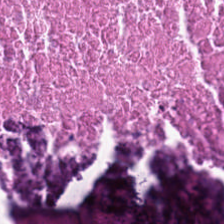Hematoxylin-and-eosin stained section.
This patch shows debris.
